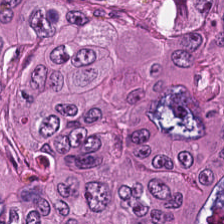0.5 µm/px. H&E — Showing colorectal adenocarcinoma epithelium.
